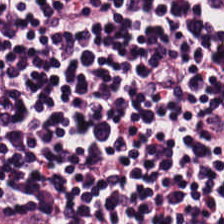Histology → lymphocytic infiltrate.
